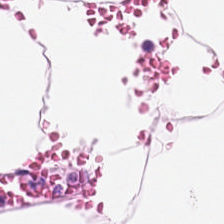Hematoxylin and eosin; 0.5 µm/px — Q: What is shown here?
A: It is adipose tissue.
